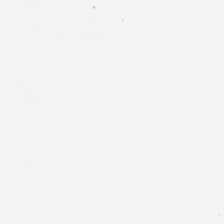FFPE tissue section. 224×224 px patch. H&E. Q: What does this patch show?
A: The field shows background (no tissue).
